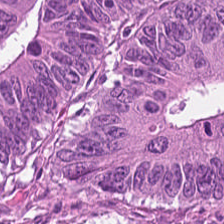Hematoxylin-and-eosin stained section · 224×224 px tile — Tissue class — malignant epithelium.
